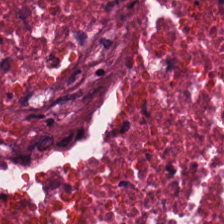0.5 µm per pixel · FFPE · hematoxylin and eosin.
Finding — necrotic debris.
